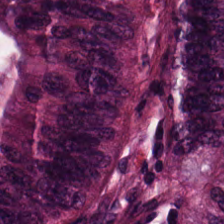Hematoxylin-and-eosin stained section · 224×224 pixel tile · FFPE — Predominant tissue: colorectal adenocarcinoma epithelium.
